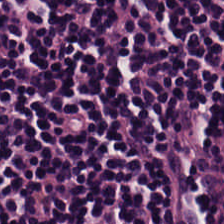{"tissue_type": "lymphocytes"}
